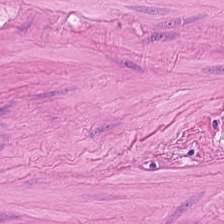Q: Identify the tissue.
A: The field shows smooth-muscle tissue.
